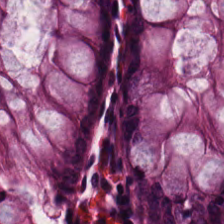This patch shows normal colonic mucosa.
